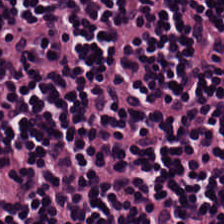H&E-stained tissue section.
Predominantly lymphocytes.
